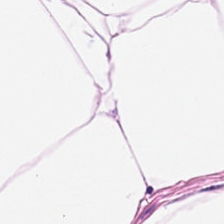224×224 px patch · H&E stain.
Showing adipocytes.
